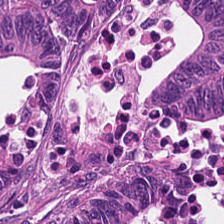Hematoxylin and eosin.
Malignant epithelium.
